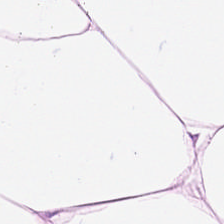H&E — This patch shows adipose tissue.
